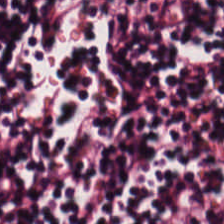Q: What is shown here?
A: This is lymphocytes.
